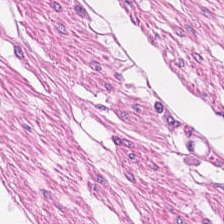Hematoxylin-and-eosin stained section. FFPE — Predominantly smooth-muscle tissue.
